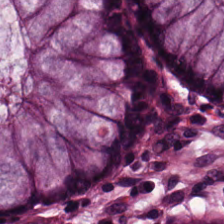Q: What tissue type is shown here?
A: Normal colonic mucosa.
